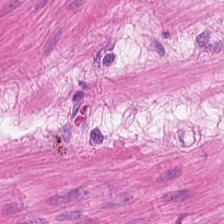224×224 px patch. Hematoxylin and eosin — The predominant tissue is muscularis.
